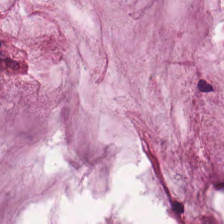Impression → extracellular mucin.
